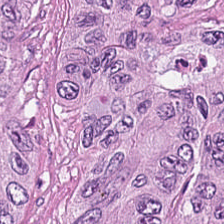Predominant tissue = adenocarcinoma.
